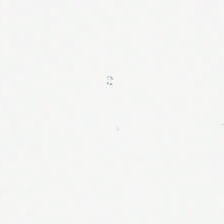Background — no tissue in this field.
